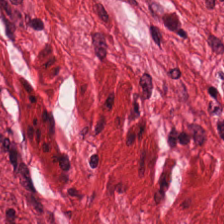H&E-stained tissue section. Showing smooth muscle.
